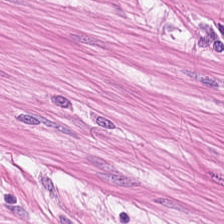Stain: hematoxylin and eosin.
Classification: muscularis.
